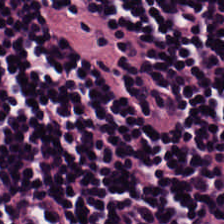Brightfield microscopy; H&E stain; 20× equivalent magnification. {"tissue_type": "lymphocytic infiltrate"}
